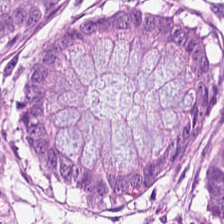Hematoxylin and eosin.
Normal colon mucosa.
